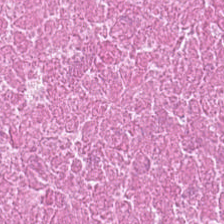Tissue type — cellular debris.
